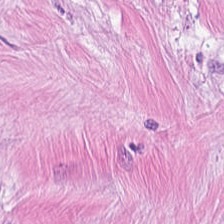0.5 µm/px. H&E stain. Formalin-fixed paraffin-embedded section. Impression → cancer-associated stroma.
